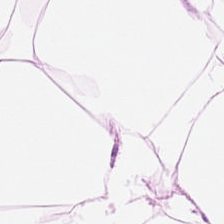H&E stain. The predominant tissue is adipose.
